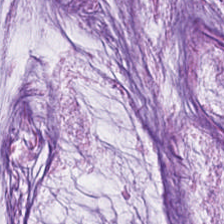Classification: mucin.
